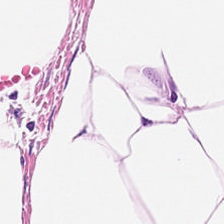H&E stain.
Q: What does this patch show?
A: Fat tissue.
